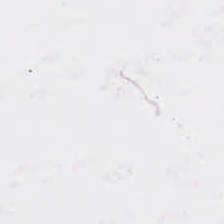224×224 pixel tile; hematoxylin and eosin.
This field is background (no tissue).
